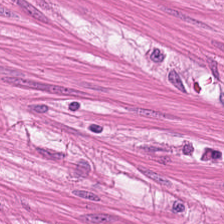Hematoxylin and eosin — Muscularis.
